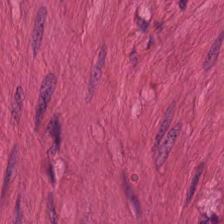FFPE. H&E-stained tissue section.
Q: What is shown here?
A: Muscularis.
